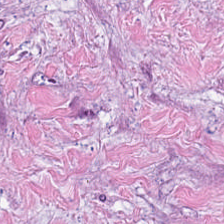Stain: hematoxylin and eosin.
Tissue: desmoplastic stroma.
